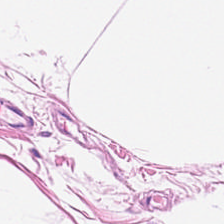Hematoxylin-and-eosin stained section — Impression — adipose.
